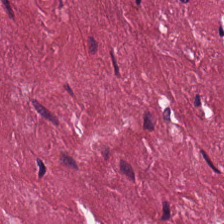Stain: H&E-stained tissue section.
Tissue: tumor-associated stroma.
